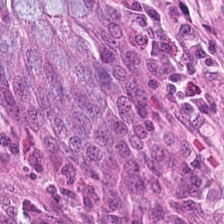Hematoxylin-and-eosin stained section.
Predominant tissue = normal colon mucosa.
